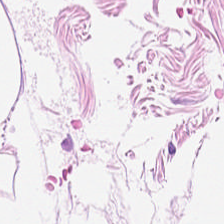Hematoxylin-and-eosin stained section · FFPE — Adipose.
